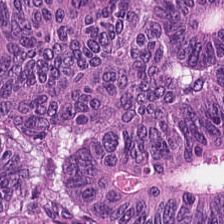Hematoxylin-and-eosin stained section. Predominant tissue — colorectal adenocarcinoma.
